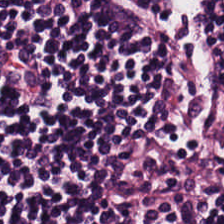Formalin-fixed paraffin-embedded section. 224×224 px tile. H&E stain. Q: Classify this patch.
A: It is lymphocytic infiltrate.
